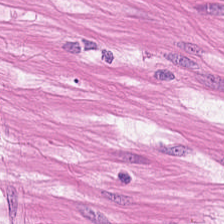H&E; formalin-fixed paraffin-embedded section.
The predominant tissue is muscularis.
